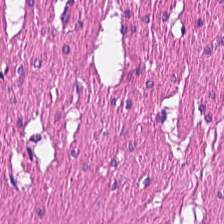H&E-stained tissue section — The tissue class is muscularis.
